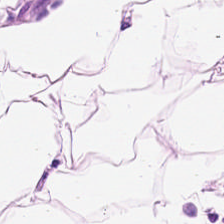Stain: H&E.
Tile size: 224×224 pixel tile.
Tissue class: adipocytes.
